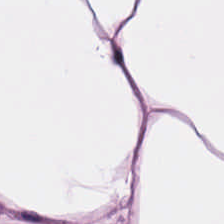H&E stain. The classification is adipose tissue.
